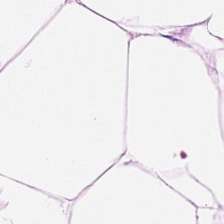H&E.
Tissue class: adipose tissue.
